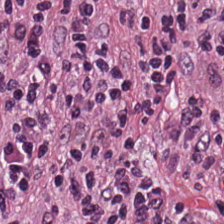Stain: H&E stain.
Tissue type: lymphocyte aggregate.
